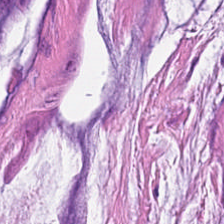Tissue class — mucin.
